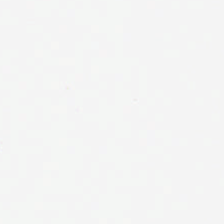224×224 px tile. H&E. This field is background (no tissue).
